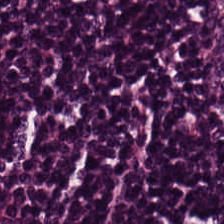H&E patch showing lymphoid infiltrate.
